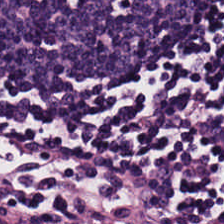Stain: H&E stain.
Tissue type: lymphocytes.
